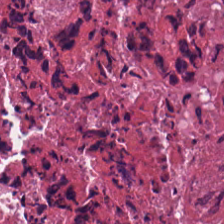Tissue class — cellular debris.
